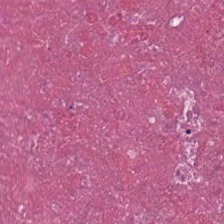H&E. Q: What is shown in this field?
A: Debris.
